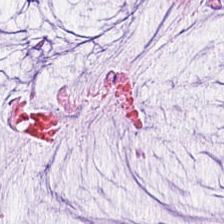Stain: hematoxylin and eosin.
Resolution: 0.5 microns per pixel.
Preparation: FFPE.
Tissue class: extracellular mucin.
